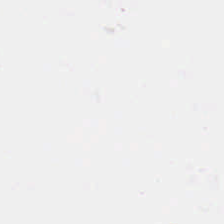The field content is no tissue.
